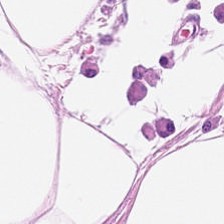Stain: hematoxylin and eosin.
Tissue type: fat tissue.
